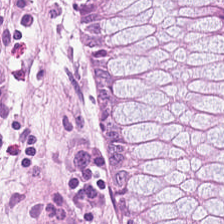H&E — Classification: normal colonic mucosa.
